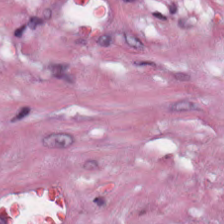Tissue: cancer-associated stroma.
